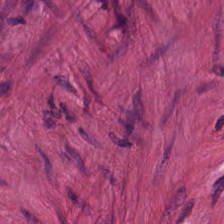Whole-slide-image patch · hematoxylin-and-eosin stained section.
Q: What is shown in this field?
A: This is muscularis.
